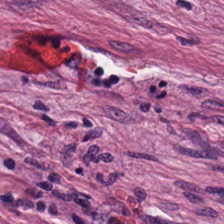H&E. Tumor-associated stroma.
